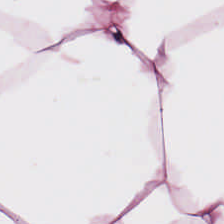Hematoxylin-and-eosin stained section — The tissue is fat tissue.
